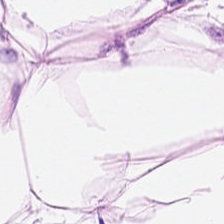Stain: hematoxylin-and-eosin stained section.
Classification: adipose.
